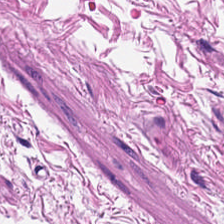Hematoxylin and eosin — Q: What does this patch show?
A: It is muscularis.
